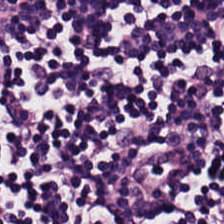H&E; 0.5 µm/px; formalin-fixed paraffin-embedded section.
Showing lymphocytic infiltrate.
